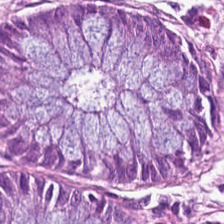Hematoxylin and eosin. Q: What tissue type is shown here?
A: Benign colonic mucosa.
